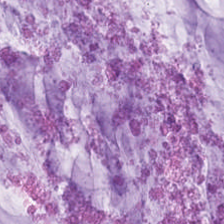H&E-stained section; the field shows extracellular mucin.
